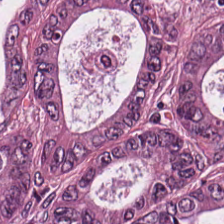Classification: malignant epithelium.
